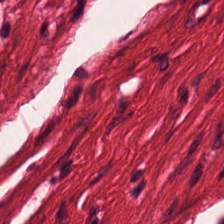224×224 px tile · H&E · FFPE — Predominant tissue: smooth-muscle tissue.
